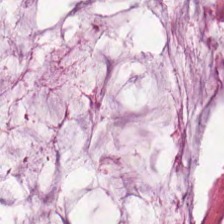Hematoxylin and eosin. The predominant tissue is mucus.
